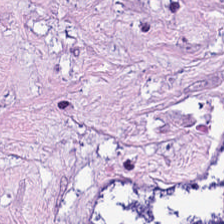Hematoxylin and eosin. Brightfield microscopy. This field is tumor stroma.
